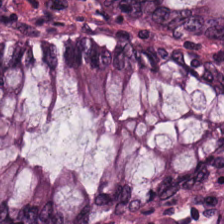Classification = non-neoplastic colon mucosa.
